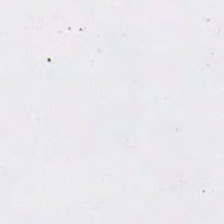Stain: H&E stain.
Acquisition: brightfield.
Classification: empty background.
